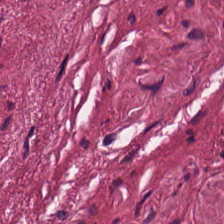H&E stain.
This patch shows desmoplastic stroma.
